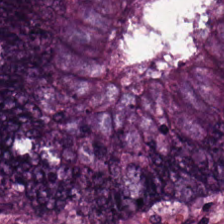Stain: H&E.
Tissue type: colorectal adenocarcinoma.
